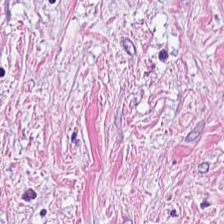The tissue here is tumor stroma.
